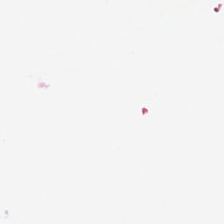H&E.
Content: no tissue.
